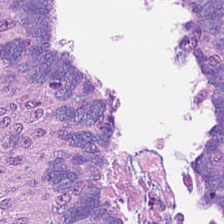Showing tumor epithelium.
